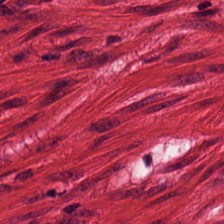H&E-stained section; the field shows muscularis.
